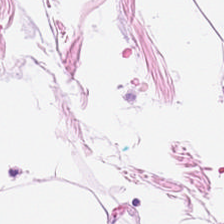Stain: H&E stain.
Acquisition: WSI patch.
Resolution: 0.5 µm per pixel.
Tissue class: fat tissue.
